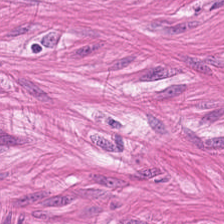20× equivalent magnification; hematoxylin-and-eosin stained section.
The tissue type is smooth muscle.
